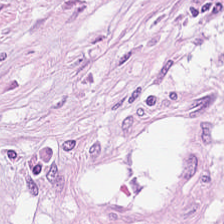H&E · 224×224 px tile · 0.5 microns per pixel — Histology → tumor stroma.
